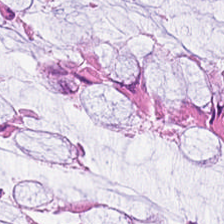Stain: hematoxylin and eosin.
Predominant tissue: normal colonic mucosa.
